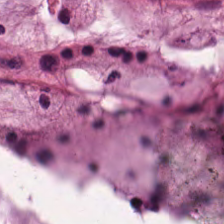Hematoxylin and eosin. Tissue type = extracellular mucin.
